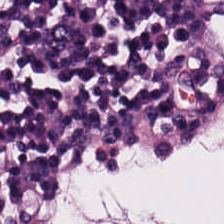Hematoxylin-and-eosin stained section.
The tissue type is lymphocytic infiltrate.
